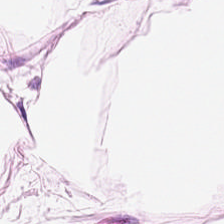The tissue is fat tissue.
